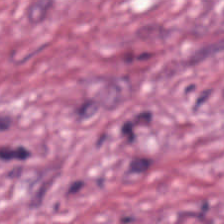Predominantly tumor-associated stroma.
